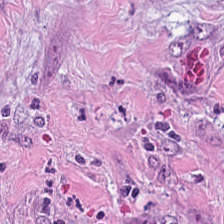H&E. Tumor-associated stroma.
